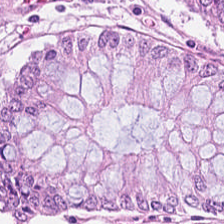Predominantly normal colon mucosa.
